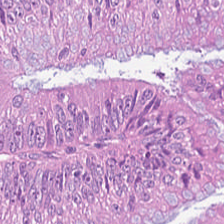FFPE. Brightfield microscopy. Hematoxylin-and-eosin stained section.
Q: Identify the tissue.
A: It is adenocarcinoma.
